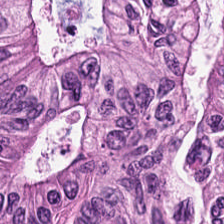224×224 px tile · hematoxylin and eosin.
This field is tumor epithelium.
